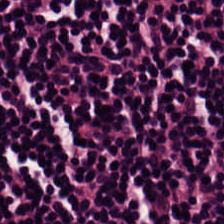H&E stain. Brightfield.
Q: What does this patch show?
A: The field shows lymphocyte aggregate.
